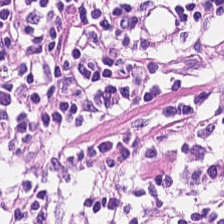H&E-stained tissue section.
Showing lymphoid infiltrate.
